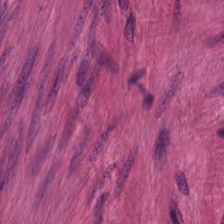Stain: H&E-stained tissue section.
Preparation: formalin-fixed paraffin-embedded section.
Resolution: 0.5 µm per pixel.
Predominant tissue: muscularis.
